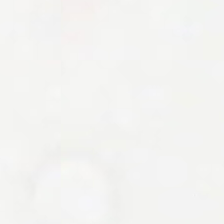Hematoxylin and eosin.
Field content — no tissue.
